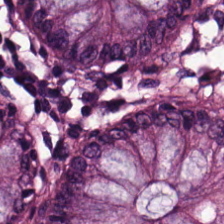H&E. The predominant tissue is normal colon mucosa.
